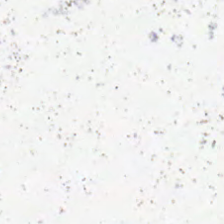H&E stain. Formalin-fixed paraffin-embedded section — Content: background.
